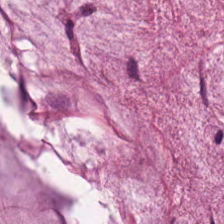H&E stain — Impression → extracellular mucin.
